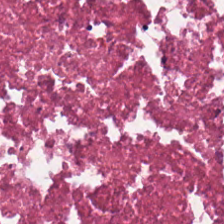H&E. 224×224 px patch. Predominantly cellular debris.
